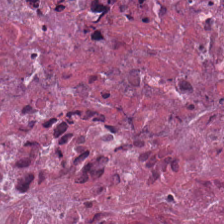224×224 px patch · 0.5 µm/px · hematoxylin-and-eosin stained section.
Q: Identify the tissue.
A: This is debris.
